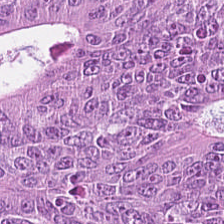The classification is colorectal adenocarcinoma epithelium.
